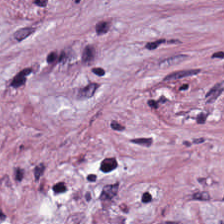FFPE tissue section. Hematoxylin-and-eosin stained section.
Tissue = tumor-associated stroma.
